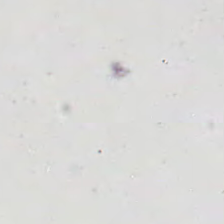Brightfield · 224×224 px tile · H&E-stained tissue section. The field content is background.
